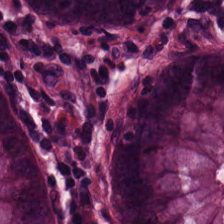Hematoxylin-and-eosin stained section · 224×224 px patch · brightfield microscopy — Showing non-neoplastic colon mucosa.
